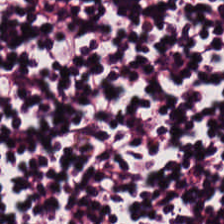Hematoxylin-and-eosin section: lymphocytic infiltrate.
